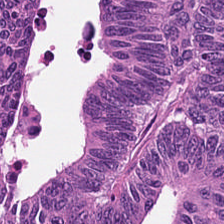Hematoxylin and eosin. Q: What type of tissue is this?
A: This is adenocarcinoma.
